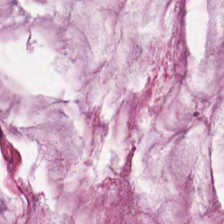Stain: H&E-stained tissue section.
Tile size: 224×224 px tile.
Tissue type: mucus.
